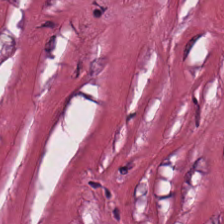H&E stain — {"tissue_type": "tumor-associated stroma"}
